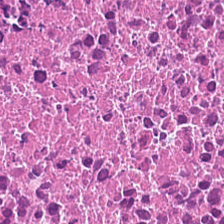Stain: H&E-stained tissue section.
Predominant tissue: necrotic debris.
